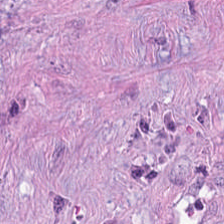Hematoxylin and eosin — Q: What is the predominant tissue type?
A: This is desmoplastic stroma.
